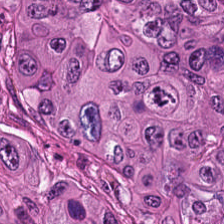Stain: H&E stain.
Tissue type: colorectal adenocarcinoma epithelium.
